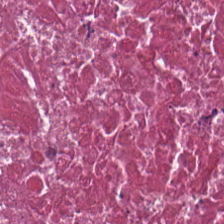Hematoxylin and eosin · formalin-fixed paraffin-embedded section — The predominant tissue is necrotic debris.
